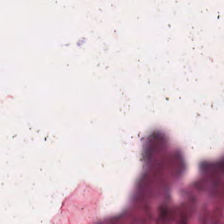This field is cellular debris.
